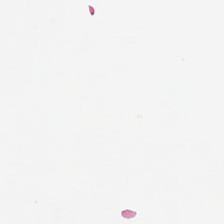H&E stain · FFPE.
Classification — empty background.
